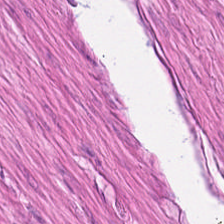H&E-stained tissue section — This field is smooth muscle.
